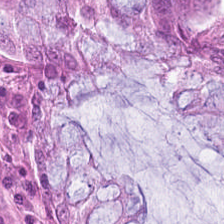Finding — benign colonic mucosa.
